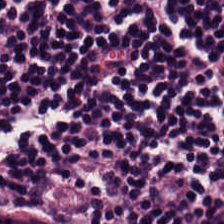224×224 px patch; whole-slide-image patch; H&E stain — Q: What is the predominant tissue type?
A: It is lymphocyte aggregate.
